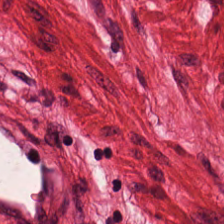Hematoxylin-and-eosin stained section.
The predominant tissue is muscularis.
